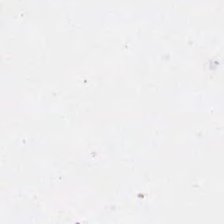224×224 px patch. Hematoxylin and eosin. Whole-slide-image patch — Classification = background.
